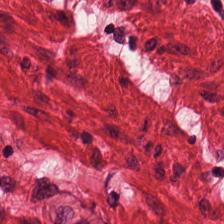H&E — The tissue here is muscularis.
